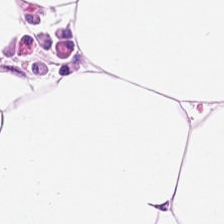Hematoxylin and eosin. Fat tissue.
